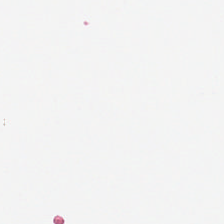FFPE. H&E-stained tissue section — No tissue present; background only.
